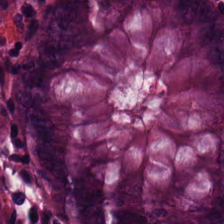Hematoxylin and eosin. The predominant tissue is benign colonic mucosa.
